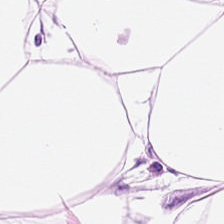Stain: H&E.
Tissue: adipose.
